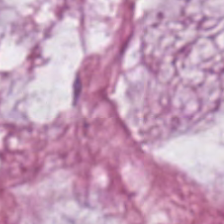H&E stain — Finding — mucus.
